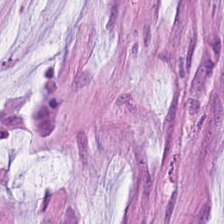Stain: hematoxylin and eosin.
Resolution: 20× equivalent magnification.
Tissue: mucus.
